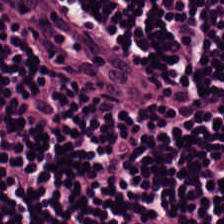Hematoxylin and eosin; 20× equivalent magnification — {"tissue_type": "lymphocytic infiltrate"}
